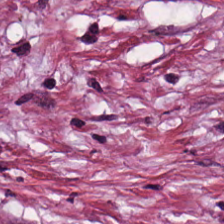Brightfield microscopy · H&E.
Predominantly desmoplastic stroma.
